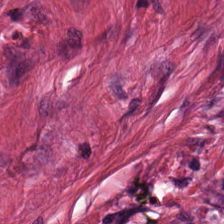H&E-stained tissue section.
This patch shows tumor-associated stroma.
